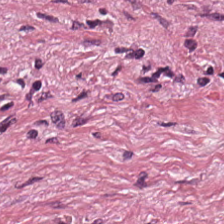Stain: H&E.
Tissue: cancer-associated stroma.
